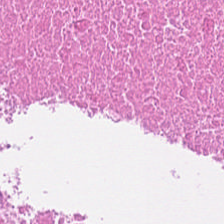224×224 px tile · hematoxylin-and-eosin stained section. Tissue type: necrotic debris.
